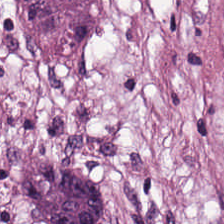0.5 µm per pixel · H&E-stained tissue section. Q: What does this patch show?
A: Desmoplastic stroma.
